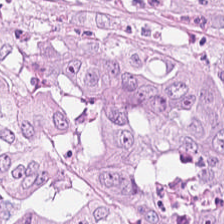H&E-stained section; the field shows colorectal adenocarcinoma epithelium.
